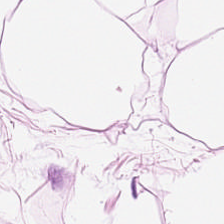0.5 µm per pixel · hematoxylin and eosin.
Classification — fat tissue.
